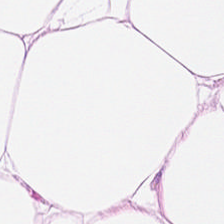Formalin-fixed paraffin-embedded section. Hematoxylin-and-eosin stained section. Q: What is shown here?
A: It is adipose tissue.
